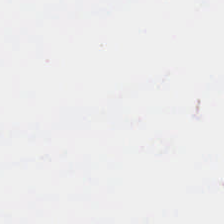H&E. Field content — no tissue.
